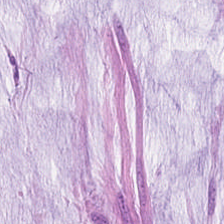FFPE tissue section · 224×224 px tile · hematoxylin and eosin — This patch shows extracellular mucin.
